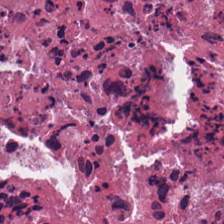H&E-stained tissue section. Necrotic debris.
